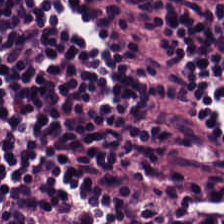H&E-stained tissue section. Lymphocyte aggregate.
